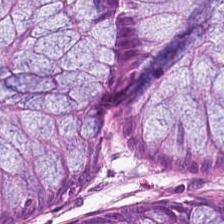Impression → normal colon mucosa.
